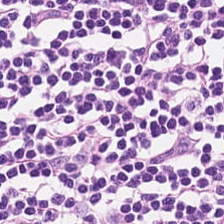The tissue here is lymphoid infiltrate.
